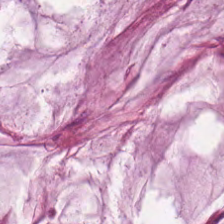Hematoxylin and eosin — This field is mucin.
